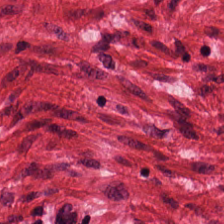H&E · FFPE tissue section — Q: What is the predominant tissue type?
A: The field shows smooth-muscle tissue.
